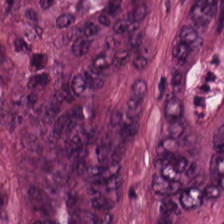H&E. The predominant tissue is tumor epithelium.
